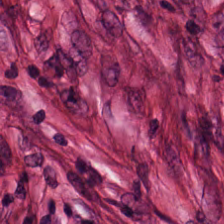224×224 pixel tile; hematoxylin-and-eosin stained section.
Tumor stroma.
